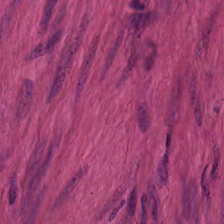Hematoxylin-and-eosin stained section.
{"tissue_type": "muscularis"}
